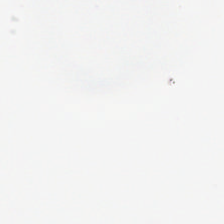H&E. Q: Classify this patch.
A: The field shows no tissue.
